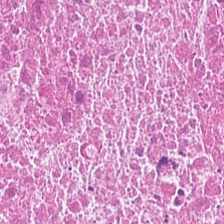H&E · formalin-fixed paraffin-embedded section.
The tissue here is cellular debris.
